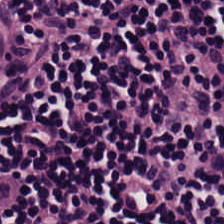224×224 pixel tile. Hematoxylin-and-eosin stained section. WSI patch. Q: What tissue is shown?
A: The field shows lymphocytic infiltrate.
